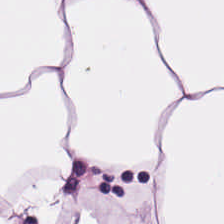Whole-slide-image patch · H&E stain · 0.5 µm per pixel.
Predominantly adipose.
